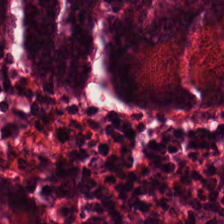Showing non-neoplastic colon mucosa.
